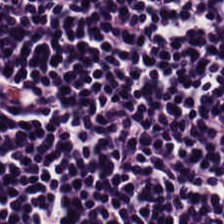Hematoxylin-and-eosin stained section · FFPE tissue section · 0.5 microns per pixel — Showing lymphocytes.
